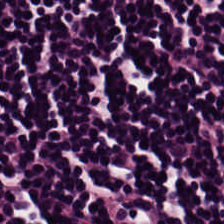Tissue type = lymphocytes.
